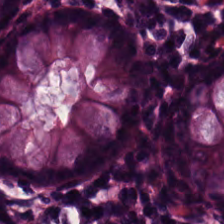0.5 µm/px. Hematoxylin and eosin.
The tissue here is normal colon mucosa.
